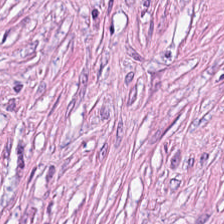Predominantly tumor stroma.
